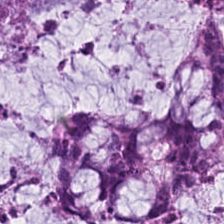H&E-stained tissue section.
The tissue is extracellular mucin.
